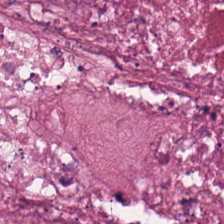H&E-stained tissue section.
Tissue type — debris.
